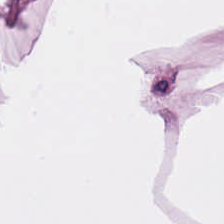The predominant tissue is adipose.
